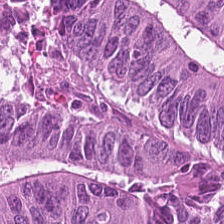Q: Classify this patch.
A: This is colorectal adenocarcinoma.
